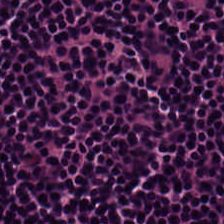Formalin-fixed paraffin-embedded section; H&E stain.
The tissue class is lymphocytic infiltrate.
